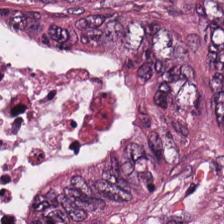Hematoxylin-and-eosin stained section · 20× equivalent magnification · WSI patch. The classification is adenocarcinoma.
